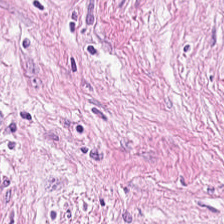Hematoxylin and eosin.
Histology → cancer-associated stroma.
